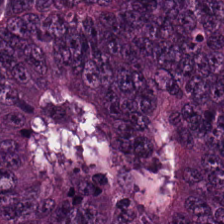Stain: H&E stain.
Classification: colorectal adenocarcinoma epithelium.
